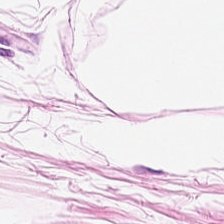Hematoxylin-and-eosin stained section.
Q: What is the predominant tissue type?
A: Adipose.
